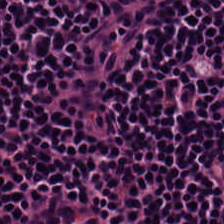H&E-stained tissue section — Q: What does this patch show?
A: Lymphocyte aggregate.
